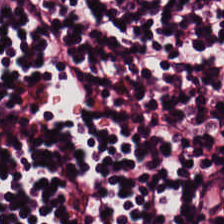H&E-stained tissue section.
The predominant tissue is lymphocytic infiltrate.
